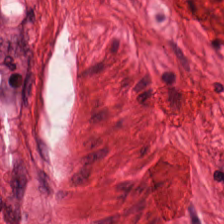Formalin-fixed paraffin-embedded section. H&E. Tissue class — muscularis.
